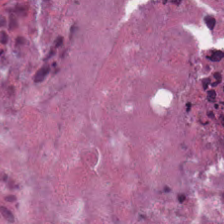H&E stain.
Predominantly cellular debris.
